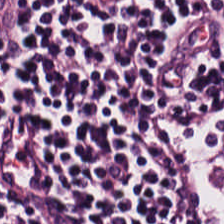H&E; 224×224 px tile; formalin-fixed paraffin-embedded section — Tissue class — lymphoid infiltrate.
